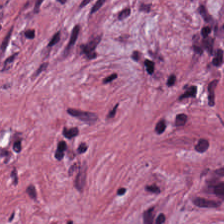Hematoxylin and eosin — This field is desmoplastic stroma.
